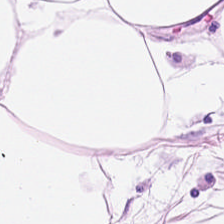Predominantly adipose tissue.
